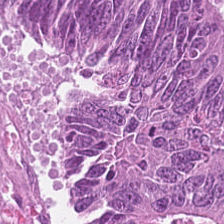Formalin-fixed paraffin-embedded section. H&E.
This patch shows tumor epithelium.
